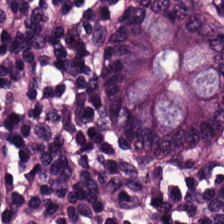224×224 pixel tile · brightfield microscopy · hematoxylin and eosin. The tissue class is benign colonic mucosa.
